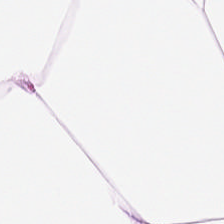Hematoxylin-and-eosin stained section. FFPE tissue section.
Predominantly adipose tissue.
